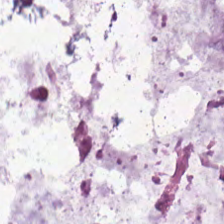H&E stain.
The classification is mucus.
